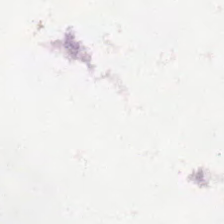H&E stain. The classification is no tissue.
